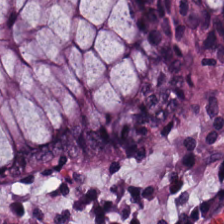Stain: H&E-stained tissue section.
Predominant tissue: benign colonic mucosa.
